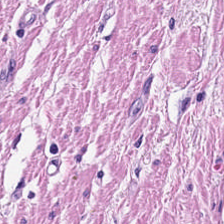Brightfield. FFPE tissue section. H&E stain.
Predominantly smooth-muscle tissue.
